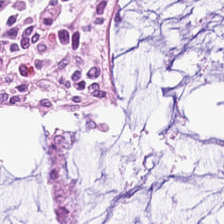224×224 px tile. H&E stain. FFPE. Histology → non-neoplastic colon mucosa.
